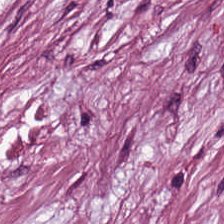{"tissue_type": "cancer-associated stroma"}
